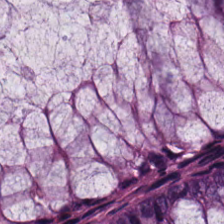Tissue = normal colonic mucosa.
